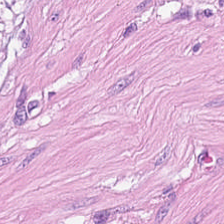FFPE tissue section; H&E-stained tissue section; 224×224 pixel tile. Predominantly smooth-muscle tissue.
